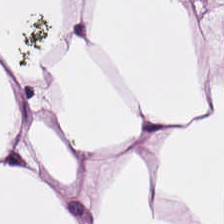FFPE; H&E stain; brightfield.
This patch shows fat tissue.
